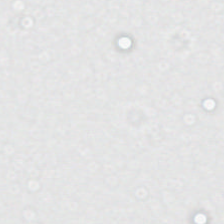H&E stain.
Finding — background.
